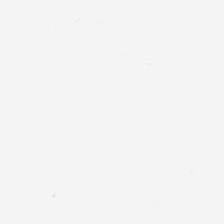Hematoxylin and eosin.
Histology → background (no tissue).
